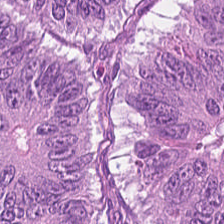0.5 microns per pixel; H&E stain — {"tissue_type": "colorectal adenocarcinoma"}
